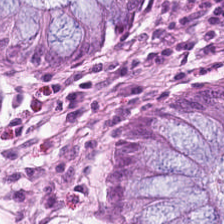Hematoxylin-and-eosin stained section. Brightfield microscopy — Normal colon mucosa.
